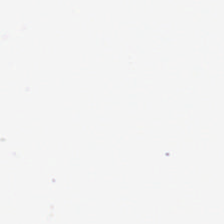H&E-stained tissue section. WSI patch — No tissue present; background only.
